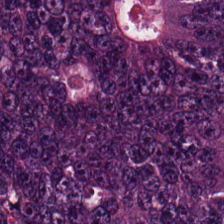Hematoxylin-and-eosin stained section. Whole-slide-image patch — Showing tumor epithelium.
